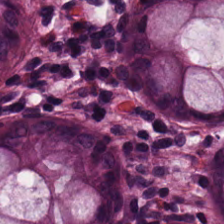H&E stain. This patch shows normal colon mucosa.
